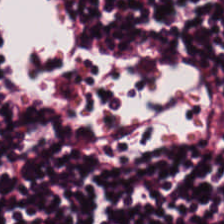Hematoxylin-and-eosin stained section — Tissue class = lymphocytes.
